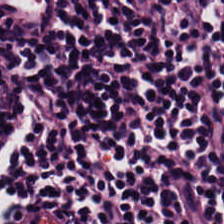224×224 px patch; FFPE; hematoxylin and eosin — Q: Identify the tissue.
A: This is lymphocyte aggregate.
